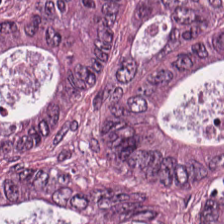H&E. This field is malignant epithelium.
